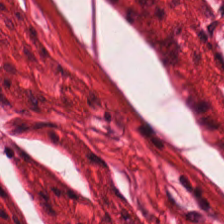224×224 px tile. 20× equivalent magnification. H&E stain.
The predominant tissue is smooth muscle.
